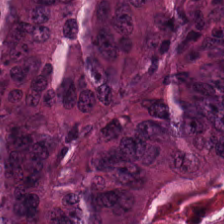Tissue — malignant epithelium.
